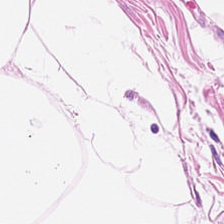H&E stain. FFPE. Q: What does this patch show?
A: The field shows adipose.
